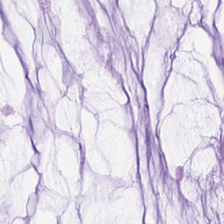H&E — mucus.
